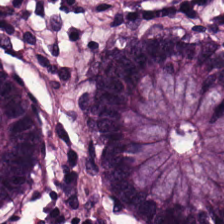Tissue — normal colon mucosa.
